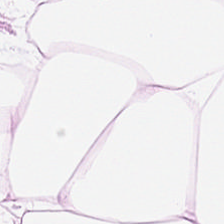H&E-stained tissue section.
Q: What tissue type is shown here?
A: It is adipocytes.
